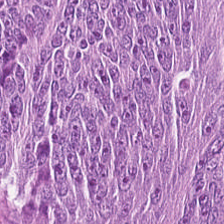Stain: H&E-stained tissue section.
Predominant tissue: colorectal adenocarcinoma.
